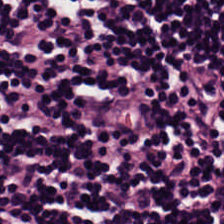H&E stain.
The tissue here is lymphocytic infiltrate.
